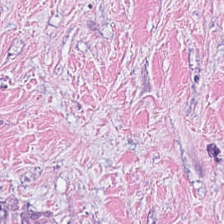Brightfield; 224×224 pixel tile; H&E stain — Classification: cancer-associated stroma.
